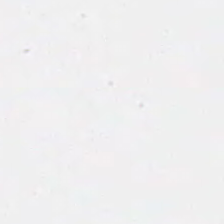0.5 µm per pixel · FFPE · H&E stain. This field is background (no tissue).
